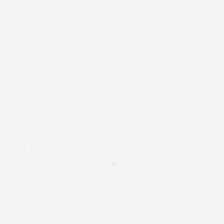This patch shows background.
